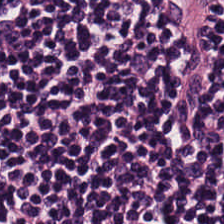224×224 pixel tile. H&E. Formalin-fixed paraffin-embedded section.
Tissue type = lymphocytic infiltrate.
